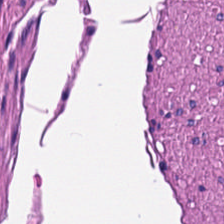Q: What is shown in this field?
A: It is smooth-muscle tissue.
